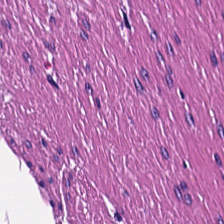Tissue: smooth-muscle tissue.
